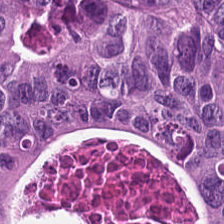Hematoxylin and eosin — The tissue here is adenocarcinoma.
